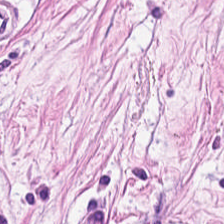Stain: H&E stain.
Tissue type: cancer-associated stroma.
